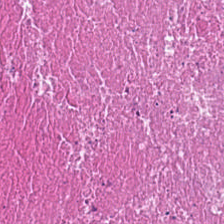Stain: H&E-stained tissue section.
Acquisition: WSI patch.
Classification: debris.
